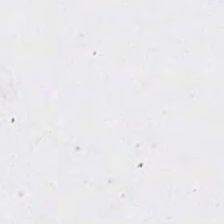H&E-stained tissue section. Field content = background (no tissue).
